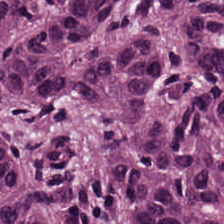H&E-stained tissue section. This field is colorectal adenocarcinoma.
